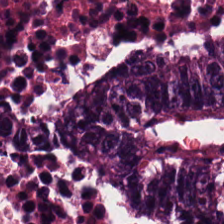Stain: hematoxylin and eosin.
Tissue: colorectal adenocarcinoma epithelium.
